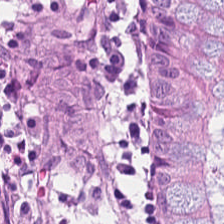H&E stain · 224×224 px patch · 0.5 µm/px. Q: What is shown here?
A: This is benign colonic mucosa.
